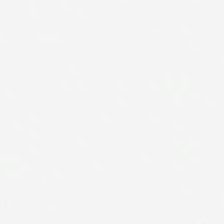Hematoxylin and eosin. No tissue present; background only.
